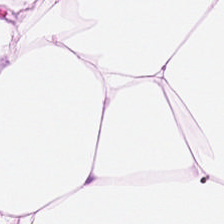Brightfield; 20× equivalent magnification; H&E-stained tissue section.
Finding — adipose tissue.
